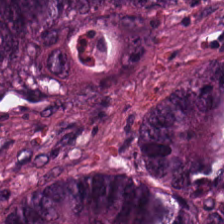H&E stain — Q: What tissue type is shown here?
A: The field shows malignant epithelium.
